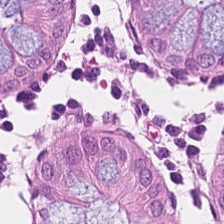Hematoxylin-and-eosin stained section.
Showing non-neoplastic colon mucosa.
